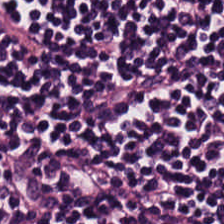Stain: H&E.
Tissue type: lymphocyte aggregate.
